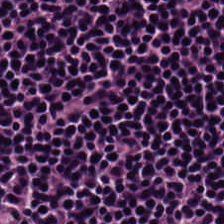H&E-stained tissue section. Q: What is the predominant tissue type?
A: This is lymphocyte aggregate.
